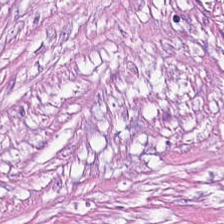Histology → tumor stroma.
